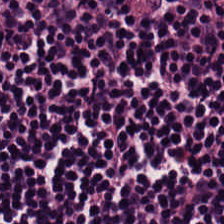Tissue type = lymphocyte aggregate.
